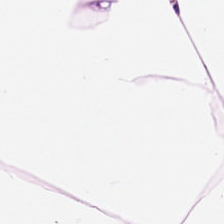Hematoxylin-and-eosin stained section. Tissue class: adipocytes.
